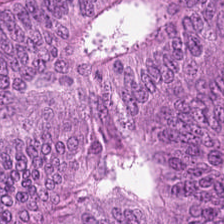H&E stain. 0.5 µm/px.
Q: What tissue is shown?
A: The field shows tumor epithelium.
